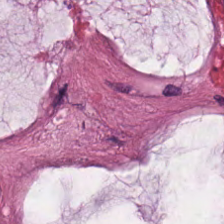Predominant tissue = mucin.
